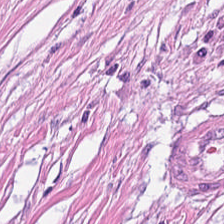Stain: hematoxylin and eosin.
Classification: cancer-associated stroma.
